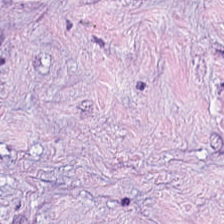Q: What does this patch show?
A: This is tumor-associated stroma.
